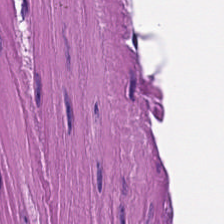H&E stain.
Q: Classify this patch.
A: This is smooth-muscle tissue.
